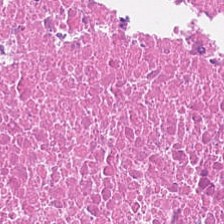H&E-stained tissue section; whole-slide-image patch — Histology — cellular debris.
